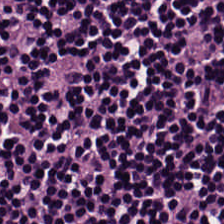Q: What type of tissue is this?
A: It is lymphocytic infiltrate.
